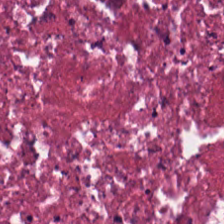Hematoxylin-and-eosin stained section — Necrotic debris.
